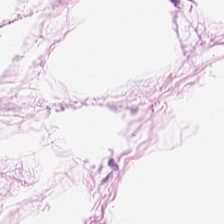0.5 microns per pixel; hematoxylin and eosin; 224×224 pixel tile. Tissue type — adipocytes.
